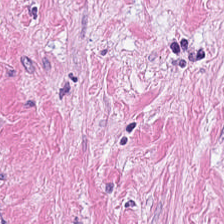H&E. 0.5 microns per pixel — Predominant tissue — tumor stroma.
